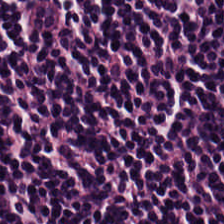Stain: hematoxylin-and-eosin stained section.
Tissue: lymphocytic infiltrate.
